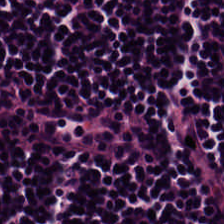0.5 µm per pixel. Whole-slide-image patch. H&E-stained tissue section.
Impression → lymphoid infiltrate.
